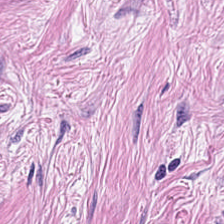Classification — cancer-associated stroma.
